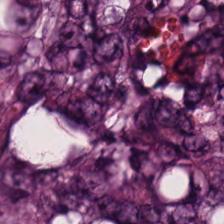Hematoxylin and eosin.
Q: What type of tissue is this?
A: This is malignant epithelium.
